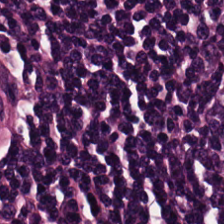Hematoxylin-and-eosin stained section. {"tissue_type": "lymphocyte aggregate"}
